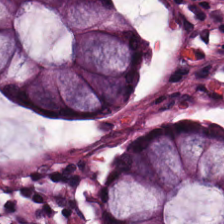Q: What tissue is shown?
A: It is normal colon mucosa.
